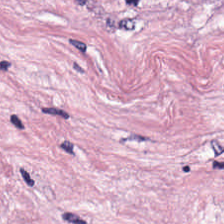Tissue class: desmoplastic stroma.
